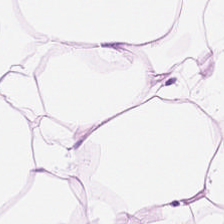0.5 microns per pixel; H&E-stained tissue section; 224×224 pixel tile.
Predominant tissue: adipose.
